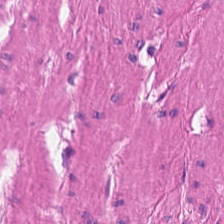H&E patch showing smooth muscle.
